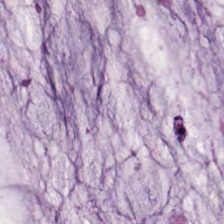H&E-stained tissue section.
Mucin.
